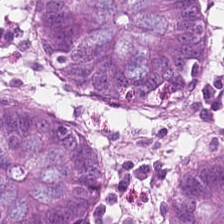Hematoxylin-and-eosin stained section · 20× equivalent magnification — This patch shows normal colonic mucosa.
